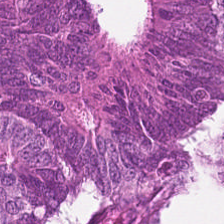H&E-stained tissue section — Impression → colorectal adenocarcinoma.
